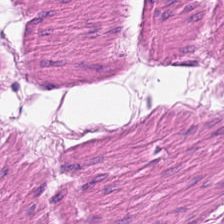H&E; 0.5 microns per pixel. The tissue is smooth muscle.
